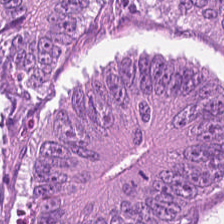Q: What tissue type is shown here?
A: The field shows colorectal adenocarcinoma epithelium.
